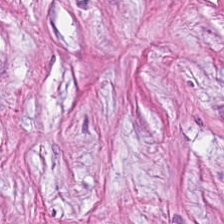Hematoxylin and eosin. Classification = cancer-associated stroma.
